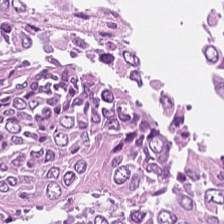Hematoxylin-and-eosin stained section; formalin-fixed paraffin-embedded section — The predominant tissue is adenocarcinoma.
